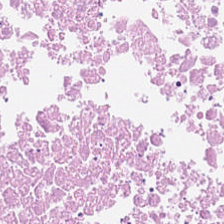Hematoxylin-and-eosin stained section. Formalin-fixed paraffin-embedded section — The predominant tissue is cellular debris.
